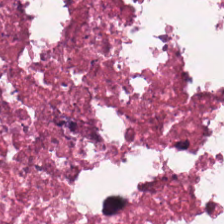H&E-stained tissue section. Predominantly necrotic debris.
